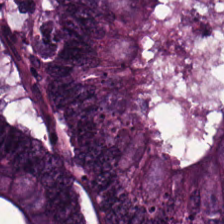Stain: H&E stain.
Tissue: adenocarcinoma.
